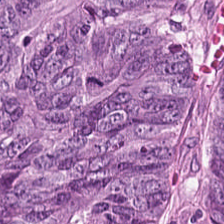H&E · whole-slide-image patch. The tissue class is malignant epithelium.
